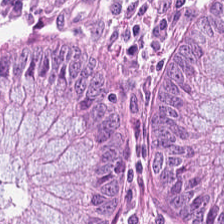Hematoxylin and eosin; 224×224 px patch — The tissue is normal colon mucosa.
